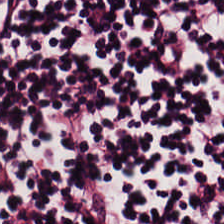H&E stain.
Tissue class — lymphocytic infiltrate.
